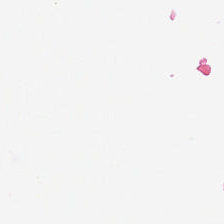H&E · FFPE · brightfield microscopy — Field content: empty background.
